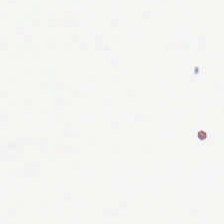Q: What does this patch show?
A: The field shows background (no tissue).
